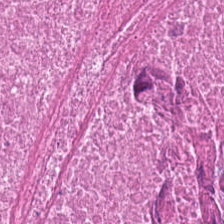Hematoxylin and eosin. Impression — cellular debris.
